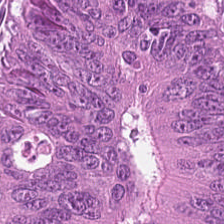H&E-stained tissue section. 0.5 µm per pixel.
Finding — adenocarcinoma.
